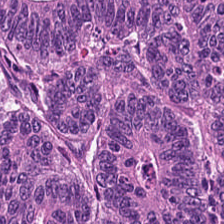Tissue — adenocarcinoma.
